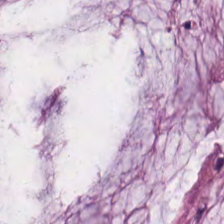Stain: hematoxylin-and-eosin stained section.
Tissue type: mucus.
